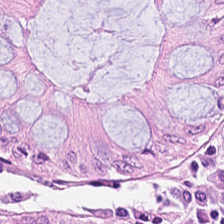Q: What tissue type is shown here?
A: Non-neoplastic colon mucosa.
